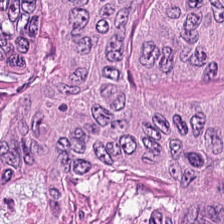Whole-slide-image patch · 224×224 px tile · H&E stain.
{"tissue_type": "colorectal adenocarcinoma epithelium"}
